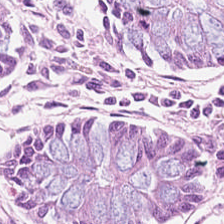0.5 µm/px. H&E-stained tissue section — Non-neoplastic colon mucosa.
